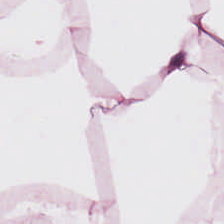Tissue class = adipose.
